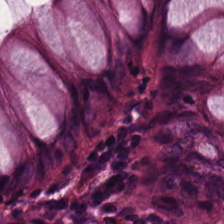Stain: H&E.
Preparation: formalin-fixed paraffin-embedded section.
Tile size: 224×224 pixel tile.
Tissue class: benign colonic mucosa.
